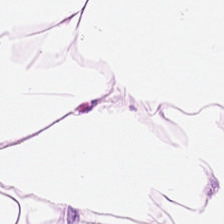Hematoxylin and eosin; 224×224 px tile — Finding → adipose.
